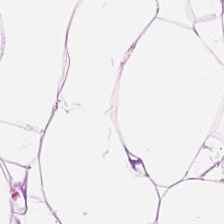WSI patch · hematoxylin-and-eosin stained section · 0.5 µm/px — Finding → adipocytes.
